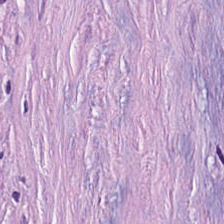Hematoxylin and eosin.
Predominantly desmoplastic stroma.
